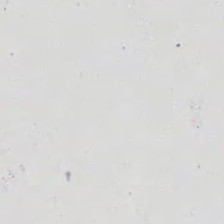H&E. 224×224 px patch. FFPE tissue section.
Classification: background.
